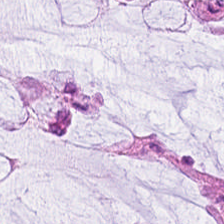Whole-slide-image patch. Hematoxylin and eosin. FFPE tissue section. Impression → normal colon mucosa.
